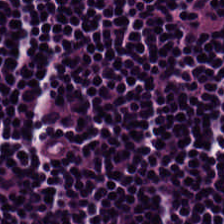Q: What tissue type is shown here?
A: It is lymphoid infiltrate.
